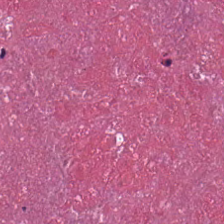Stain: H&E stain.
Classification: debris.
